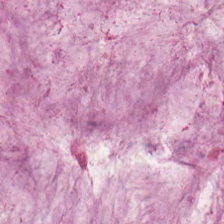H&E-stained tissue section · FFPE.
Tissue class — extracellular mucin.
